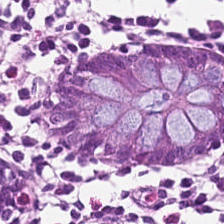H&E — Showing benign colonic mucosa.
